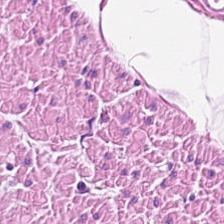Q: What does this patch show?
A: The field shows muscularis.
